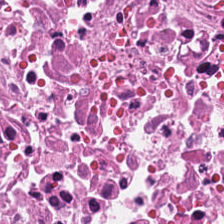Hematoxylin-and-eosin stained section. {"tissue_type": "cellular debris"}
